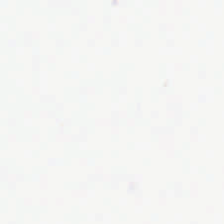Impression — no tissue.
